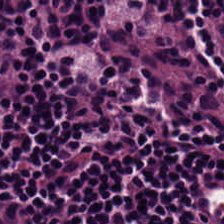Predominant tissue = lymphoid infiltrate.
